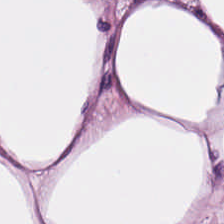H&E stain.
Showing adipose.
